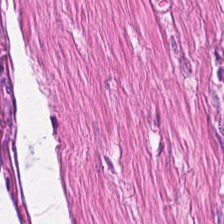H&E. Showing smooth muscle.
